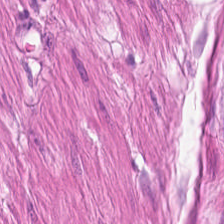224×224 px patch; hematoxylin and eosin. Showing smooth-muscle tissue.
